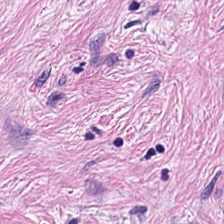Hematoxylin and eosin — {"tissue_type": "tumor stroma"}
